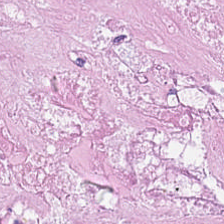H&E stain · 224×224 px tile — {"tissue_type": "debris"}
